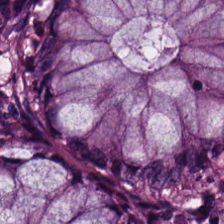Stain: H&E-stained tissue section.
Predominant tissue: normal colonic mucosa.
